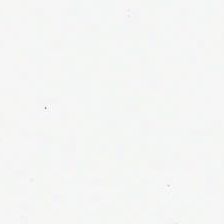H&E stain — Classification = no tissue.
